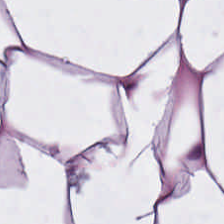H&E patch showing adipocytes.
